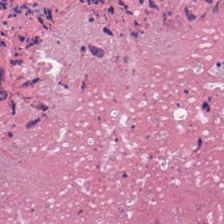Hematoxylin-and-eosin stained section. The predominant tissue is cellular debris.
